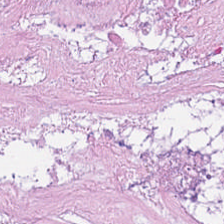H&E. This field is necrotic debris.
